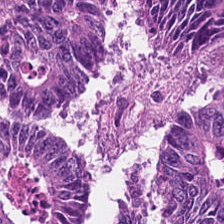H&E stain — Predominantly tumor epithelium.
